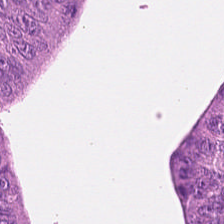H&E-stained tissue section — Showing colorectal adenocarcinoma epithelium.
